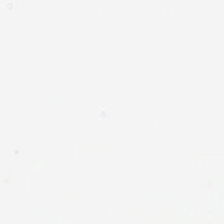H&E stain · brightfield microscopy.
No tissue present; background only.
